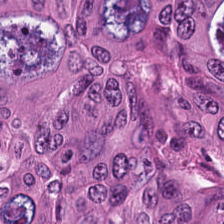H&E stain. This field is colorectal adenocarcinoma.
